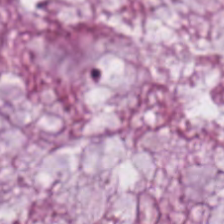Hematoxylin-and-eosin stained section; 0.5 µm per pixel — Showing mucus.
